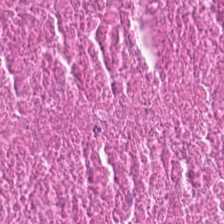H&E-stained tissue section.
Predominantly cellular debris.
